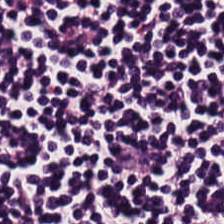H&E; 224×224 px tile; FFPE tissue section. Classification: lymphocyte aggregate.
